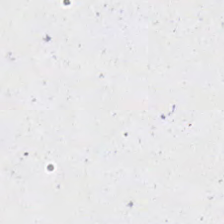{"content": "background"}
